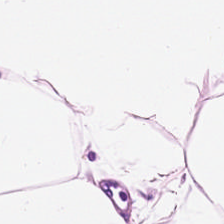Hematoxylin-and-eosin stained section.
Predominantly fat tissue.
